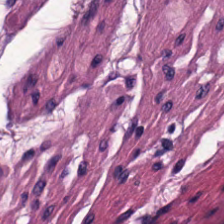Stain: H&E stain.
Tissue type: smooth muscle.
